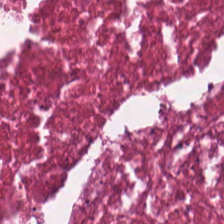H&E-stained tissue section. Necrotic debris.
